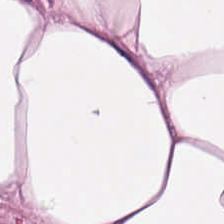The tissue type is fat tissue.
